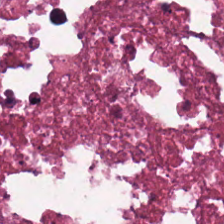Hematoxylin-and-eosin stained section.
Q: What does this patch show?
A: It is necrotic debris.
